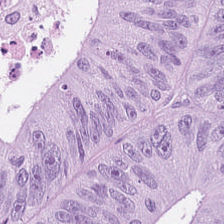The tissue type is colorectal adenocarcinoma.
